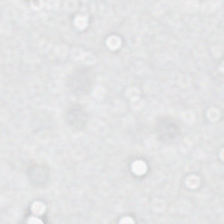Q: What does this patch show?
A: No tissue.
